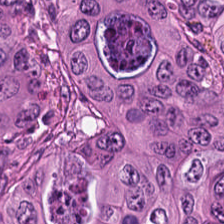Predominantly tumor epithelium.
